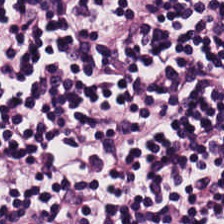H&E.
Impression — lymphocyte aggregate.
